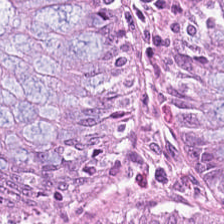Stain: H&E stain.
Predominant tissue: normal colonic mucosa.
